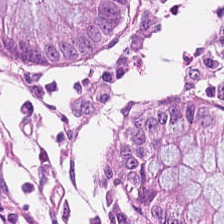{"tissue_type": "normal colon mucosa"}
